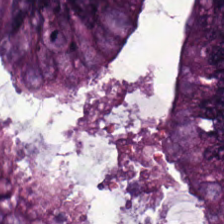Hematoxylin-and-eosin stained section — Predominant tissue — colorectal adenocarcinoma.
